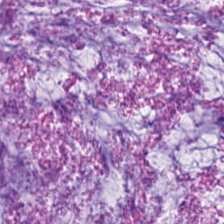H&E; brightfield microscopy; 224×224 pixel tile — The predominant tissue is mucin.
